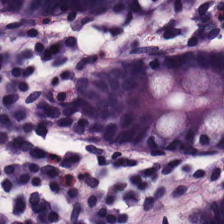Hematoxylin and eosin — Impression → normal colon mucosa.
